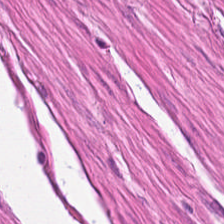H&E-stained section; the field shows smooth-muscle tissue.
